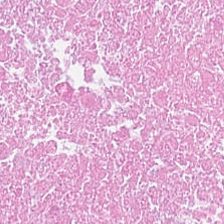The tissue is cellular debris.
